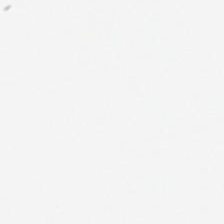H&E; FFPE tissue section; 224×224 pixel tile — This patch shows background.
